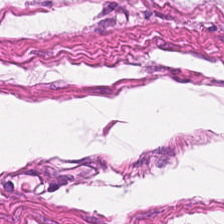Classification — smooth muscle.
